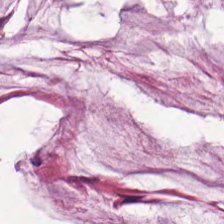Q: What is shown in this field?
A: It is extracellular mucin.
